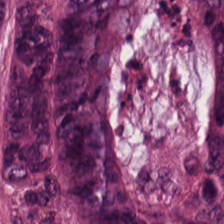WSI patch · H&E-stained tissue section.
The predominant tissue is colorectal adenocarcinoma.
